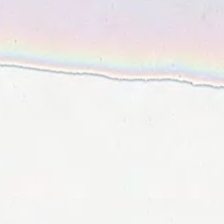No tissue present; background only.
